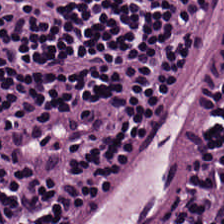224×224 px tile. Hematoxylin-and-eosin stained section. FFPE — Predominant tissue: lymphocyte aggregate.
